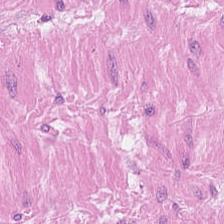Stain: hematoxylin and eosin.
Acquisition: brightfield microscopy.
Classification: smooth-muscle tissue.
